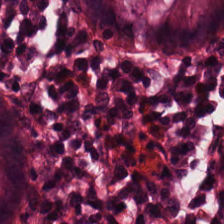20× equivalent magnification · whole-slide-image patch · hematoxylin-and-eosin stained section — Tissue class = normal colon mucosa.
